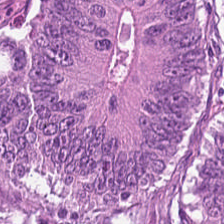Stain: hematoxylin and eosin.
Tissue type: adenocarcinoma.
